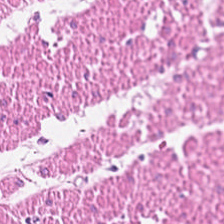H&E-stained tissue section — Q: Identify the tissue.
A: Smooth muscle.
